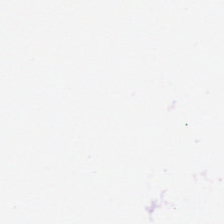H&E-stained tissue section. Formalin-fixed paraffin-embedded section. Histology → background (no tissue).
